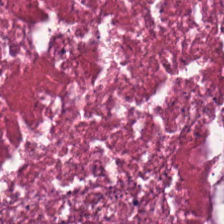H&E stain · WSI patch · FFPE. Q: What does this patch show?
A: Necrotic debris.
